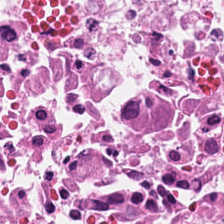H&E-stained tissue section · 224×224 px tile.
Tissue class = necrotic debris.
